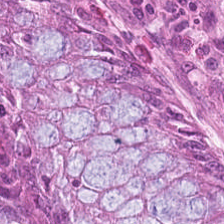Stain: H&E stain.
Acquisition: whole-slide-image patch.
Classification: non-neoplastic colon mucosa.
